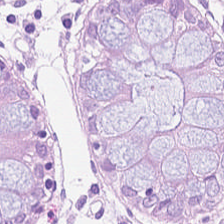H&E stain · 224×224 px tile.
Tissue type: normal colon mucosa.
